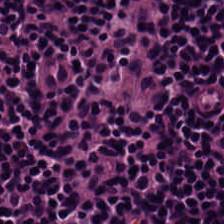H&E. The predominant tissue is lymphocyte aggregate.
